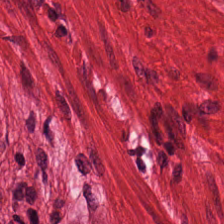H&E-stained tissue section · 224×224 px tile.
Predominantly muscularis.
